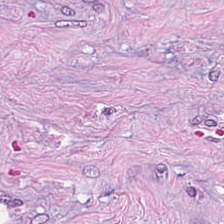H&E-stained tissue section — The predominant tissue is tumor-associated stroma.
